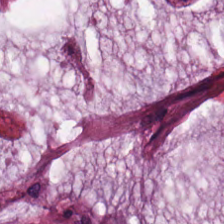H&E. {"tissue_type": "mucus"}
